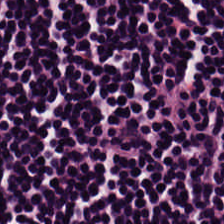H&E-stained tissue section. The tissue here is lymphocytic infiltrate.
